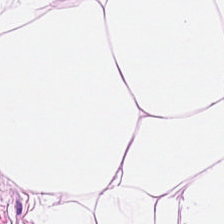H&E-stained tissue section — This field is fat tissue.
